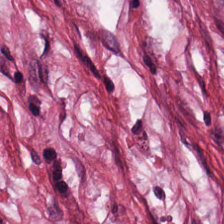224×224 px tile. H&E. Tissue type = tumor stroma.
